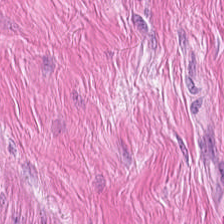H&E stain — Tissue type = muscularis.
